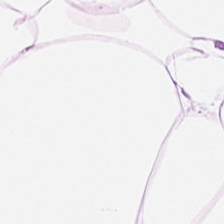Adipocytes.
